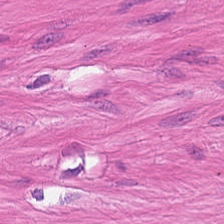Brightfield microscopy; H&E.
Tissue class = smooth-muscle tissue.
